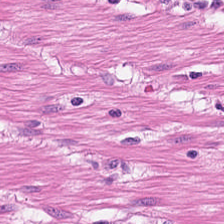H&E stain; whole-slide-image patch — Q: What type of tissue is this?
A: This is smooth muscle.
